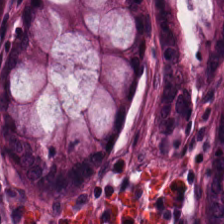Classification — benign colonic mucosa.
